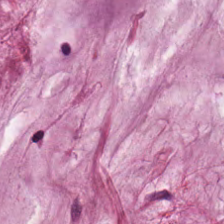20× equivalent magnification · hematoxylin-and-eosin stained section — Tissue: mucin.
